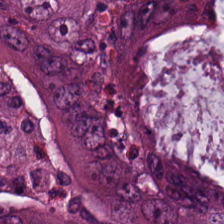Histology — colorectal adenocarcinoma epithelium.
